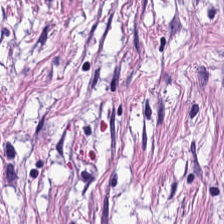Hematoxylin and eosin — Tumor-associated stroma.
